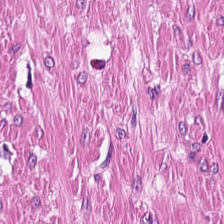Tissue class: smooth-muscle tissue.
